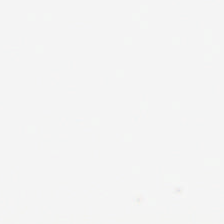H&E stain · 224×224 pixel tile. Empty field — no tissue.
